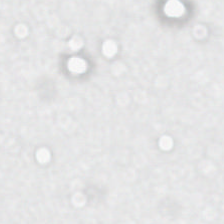Stain: H&E-stained tissue section.
Preparation: FFPE.
Field content: empty background.
